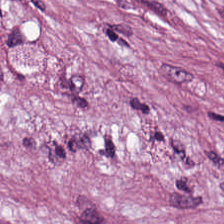Tissue class — tumor stroma.
